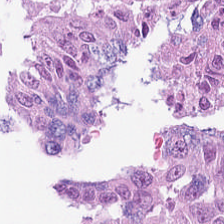Brightfield microscopy · hematoxylin-and-eosin stained section.
Finding → adenocarcinoma.
